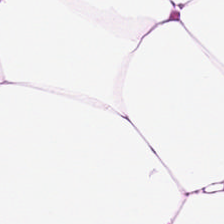Stain: H&E-stained tissue section.
Classification: fat tissue.
